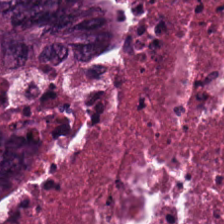0.5 µm/px; hematoxylin-and-eosin stained section. Q: What tissue is shown?
A: It is colorectal adenocarcinoma.
